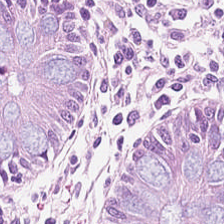H&E-stained tissue section. This field is normal colonic mucosa.
